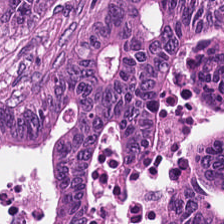H&E-stained tissue section.
The tissue here is colorectal adenocarcinoma.
